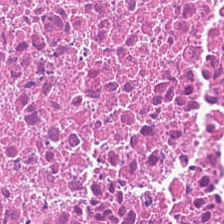224×224 pixel tile; H&E stain. The predominant tissue is cellular debris.
